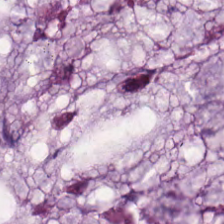224×224 px patch; H&E. Q: Identify the tissue.
A: The field shows mucin.
